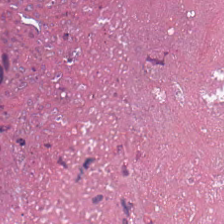Q: What type of tissue is this?
A: Debris.
